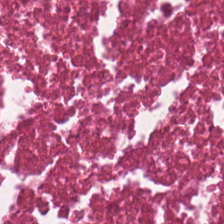H&E. FFPE tissue section — Tissue class — debris.
